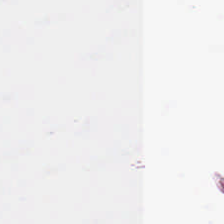H&E-stained tissue section.
No tissue present; background only.
